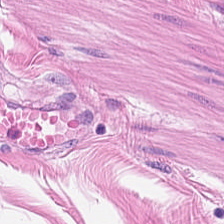Hematoxylin-and-eosin stained section. Q: What is shown here?
A: It is muscularis.
